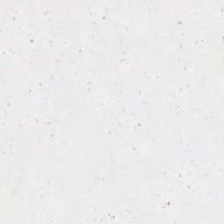Background — no tissue in this field.
